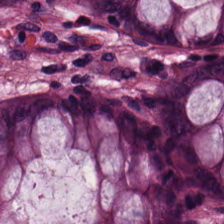Hematoxylin and eosin; FFPE; brightfield — This field is normal colonic mucosa.
